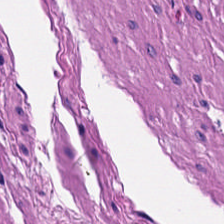Hematoxylin-and-eosin stained section.
Tissue: smooth muscle.
